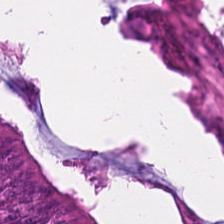This field is tumor epithelium.
